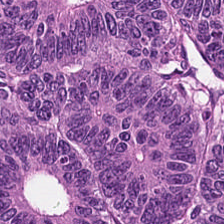FFPE. H&E-stained tissue section.
Tissue class — colorectal adenocarcinoma.
